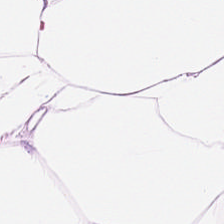Predominantly fat tissue.
